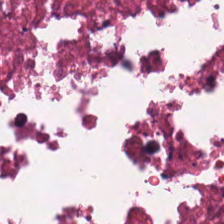Hematoxylin and eosin — Q: What is shown in this field?
A: This is cellular debris.
